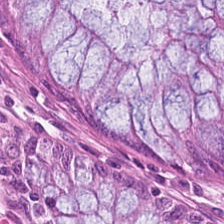224×224 px tile; 0.5 microns per pixel; H&E-stained tissue section.
Predominantly normal colonic mucosa.
